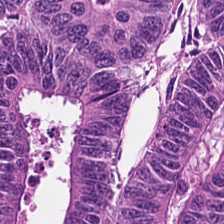Hematoxylin and eosin. 0.5 µm/px. Brightfield microscopy.
Tissue class — malignant epithelium.
